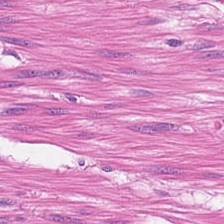Q: Identify the tissue.
A: It is muscularis.
